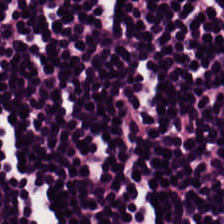H&E; brightfield microscopy; 224×224 px patch.
The predominant tissue is lymphocytes.
